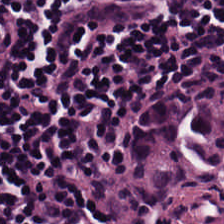Stain: hematoxylin-and-eosin stained section.
Preparation: FFPE tissue section.
Tile size: 224×224 px tile.
Classification: lymphocyte aggregate.
